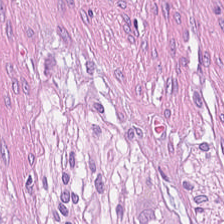H&E stain — Predominantly desmoplastic stroma.
